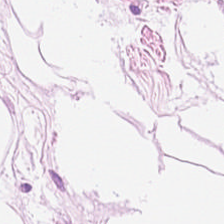Showing fat tissue.
